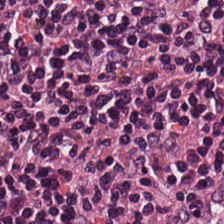Hematoxylin and eosin. 0.5 µm/px — Predominantly lymphoid infiltrate.
